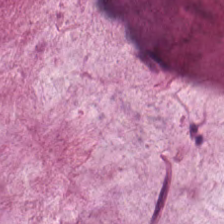Stain: hematoxylin and eosin.
Tissue: mucus.
